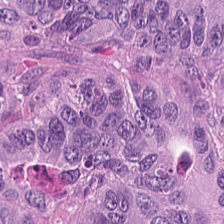H&E-stained tissue section. Impression — tumor epithelium.
